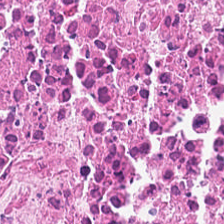Hematoxylin-and-eosin stained section. Finding → necrotic debris.
